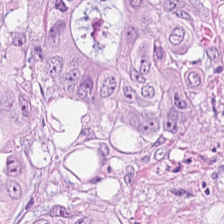H&E stain; FFPE.
Histology → malignant epithelium.
